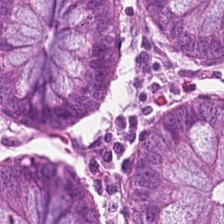H&E-stained tissue section — The classification is normal colon mucosa.
